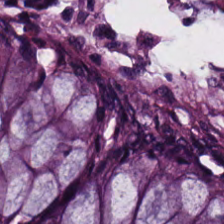Hematoxylin and eosin; WSI patch; formalin-fixed paraffin-embedded section. Showing normal colon mucosa.
